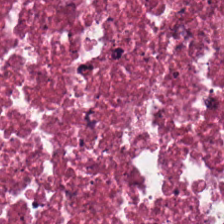Tissue class — necrotic debris.
